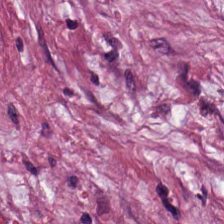Stain: H&E.
Classification: tumor stroma.
